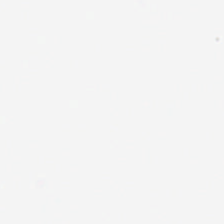H&E stain.
The classification is background (no tissue).
